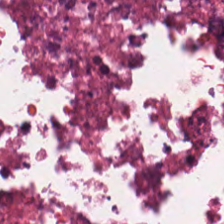0.5 µm/px. H&E. Brightfield.
This field is debris.
